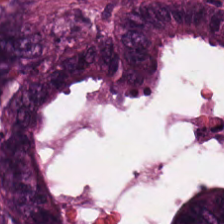Impression → tumor epithelium.
